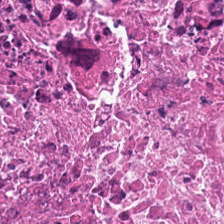Hematoxylin and eosin — {"tissue_type": "cellular debris"}
